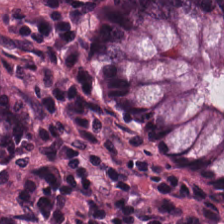20× equivalent magnification. H&E stain. This patch shows normal colon mucosa.
